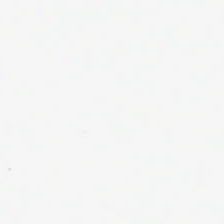Stain: H&E.
Classification: background (no tissue).
